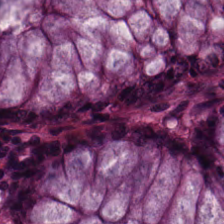Stain: hematoxylin-and-eosin stained section.
Predominant tissue: benign colonic mucosa.
